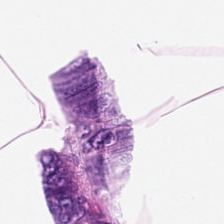Hematoxylin-and-eosin stained section.
Classification — adipose tissue.
